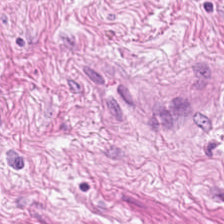Tissue type — smooth-muscle tissue.
